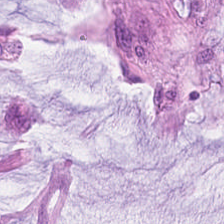Q: What does this patch show?
A: Mucus.
